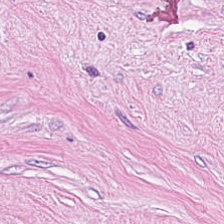224×224 px tile; hematoxylin-and-eosin stained section.
Predominantly tumor stroma.
